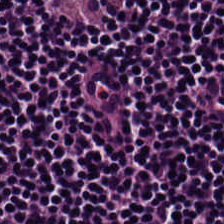Hematoxylin and eosin · brightfield microscopy. Q: What type of tissue is this?
A: This is lymphocyte aggregate.
